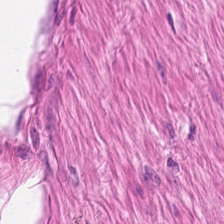224×224 px patch · 20× equivalent magnification · H&E.
Q: Identify the tissue.
A: This is muscularis.
